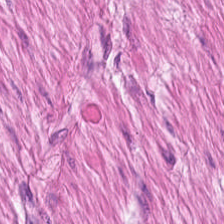H&E-stained tissue section. {"tissue_type": "muscularis"}
